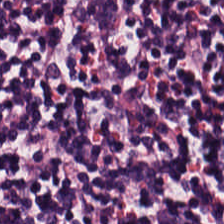H&E stain.
This patch shows lymphocytes.
